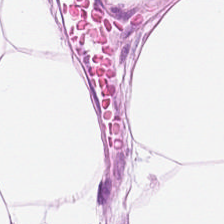Stain: H&E.
Acquisition: WSI patch.
Classification: adipose tissue.
